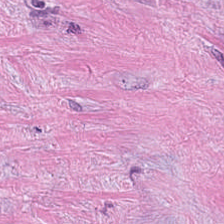H&E stain · whole-slide-image patch. This field is tumor stroma.
